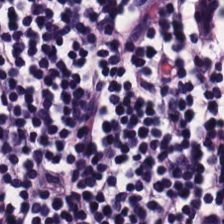Hematoxylin and eosin. Predominantly lymphoid infiltrate.
